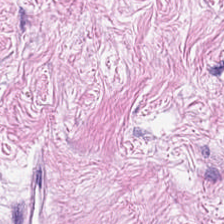Hematoxylin and eosin.
The predominant tissue is desmoplastic stroma.
